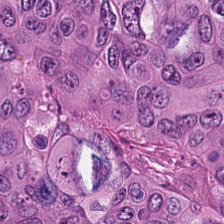The predominant tissue is malignant epithelium.
